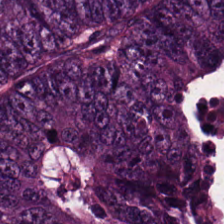Stain: hematoxylin-and-eosin stained section.
Tile size: 224×224 pixel tile.
Predominant tissue: tumor epithelium.
